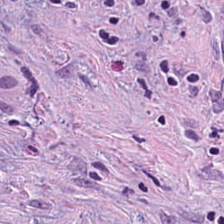H&E-stained tissue section.
This field is tumor stroma.
